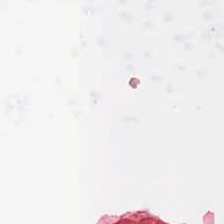224×224 px patch. H&E stain. Field content = background.
